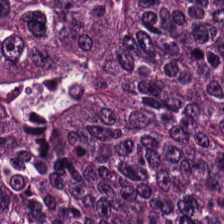Hematoxylin and eosin; 0.5 µm per pixel. Showing colorectal adenocarcinoma.
